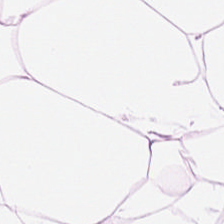Brightfield microscopy; hematoxylin-and-eosin stained section — This patch shows adipose.
